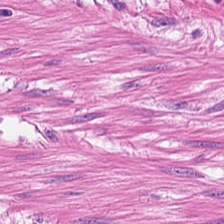Stain: H&E-stained tissue section.
Preparation: formalin-fixed paraffin-embedded section.
Predominant tissue: smooth muscle.
